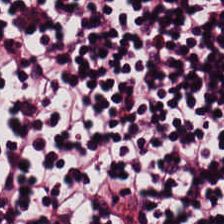Hematoxylin and eosin · brightfield — Tissue: lymphocytes.
